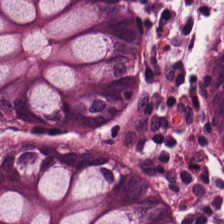This patch shows normal colon mucosa.
